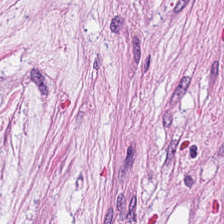WSI patch; hematoxylin-and-eosin stained section.
This patch shows desmoplastic stroma.
